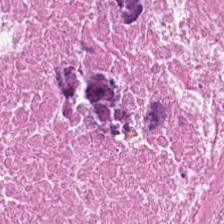FFPE · hematoxylin and eosin.
Q: What type of tissue is this?
A: The field shows cellular debris.
